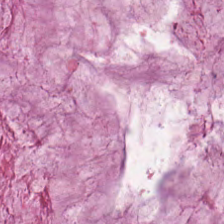Showing extracellular mucin.
